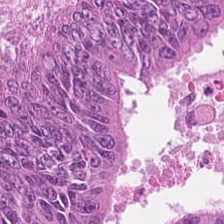Hematoxylin and eosin — Q: What is shown here?
A: The field shows colorectal adenocarcinoma epithelium.
